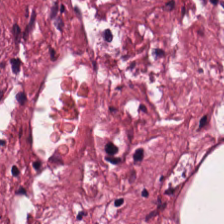H&E-stained tissue section · 0.5 microns per pixel — Tumor-associated stroma.
